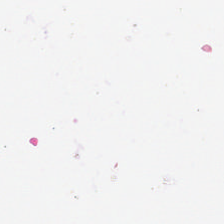Stain: H&E-stained tissue section.
Tile size: 224×224 px tile.
Content: background (no tissue).
